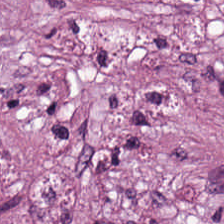Brightfield microscopy; FFPE tissue section; H&E.
Showing cancer-associated stroma.
